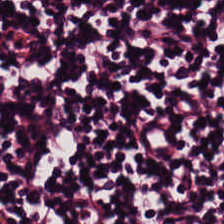Hematoxylin-and-eosin stained section.
This field is lymphocyte aggregate.
